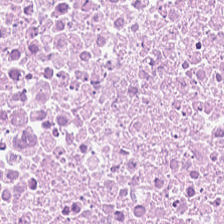224×224 pixel tile · hematoxylin and eosin.
Q: What is shown in this field?
A: It is debris.
